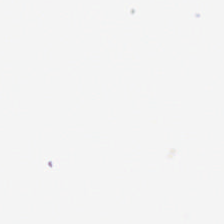H&E stain.
This patch shows empty background.
